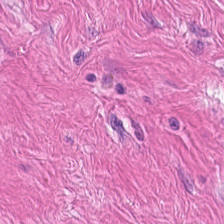Predominantly muscularis.
